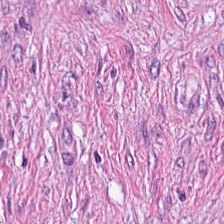Stain: hematoxylin and eosin.
Predominant tissue: cancer-associated stroma.
